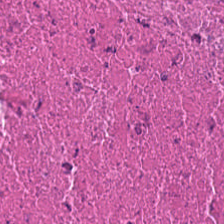224×224 px tile · H&E-stained tissue section.
This patch shows cellular debris.
